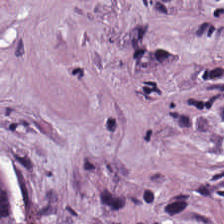Stain: hematoxylin and eosin.
Preparation: formalin-fixed paraffin-embedded section.
Tissue: desmoplastic stroma.
